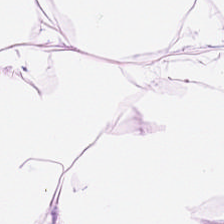H&E — adipocytes.
